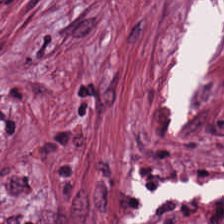Stain: H&E-stained tissue section.
Classification: cancer-associated stroma.
